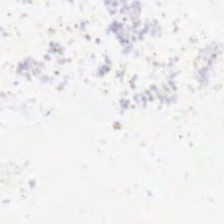0.5 µm/px. H&E-stained tissue section. Q: What is shown here?
A: It is background (no tissue).
